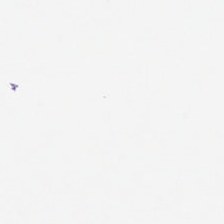H&E-stained tissue section. This field is background (no tissue).
